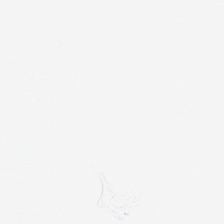Stain: H&E.
Resolution: 0.5 microns per pixel.
Preparation: FFPE tissue section.
Field content: no tissue.
